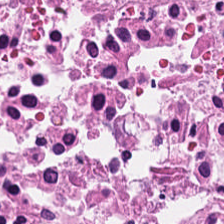H&E-stained tissue section. Predominantly debris.
